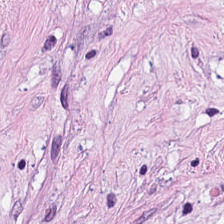Finding — desmoplastic stroma.
